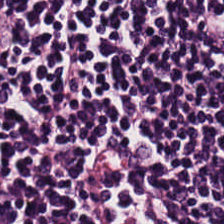Q: Identify the tissue.
A: The field shows lymphocytes.
